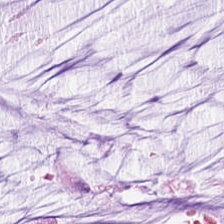Brightfield; H&E stain — {"tissue_type": "extracellular mucin"}
